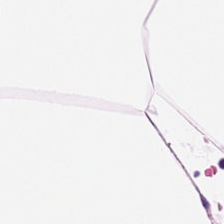Hematoxylin and eosin. 224×224 pixel tile.
Tissue: adipose.
